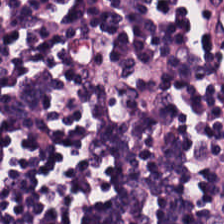H&E. 224×224 px patch. The tissue class is lymphocyte aggregate.
